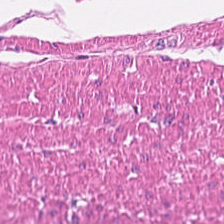Hematoxylin-and-eosin section: smooth muscle.
